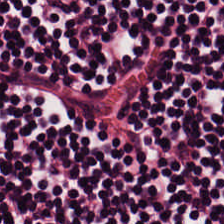Hematoxylin and eosin. 0.5 microns per pixel — Tissue type = lymphocyte aggregate.
